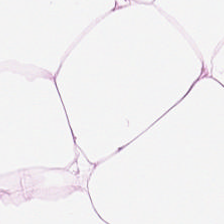Hematoxylin and eosin — This field is fat tissue.
